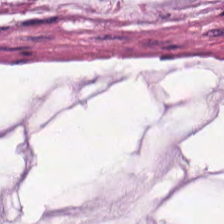224×224 pixel tile · brightfield · hematoxylin-and-eosin stained section — Tissue type — mucus.
